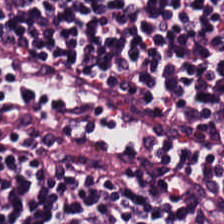Hematoxylin and eosin — The predominant tissue is lymphocytic infiltrate.
